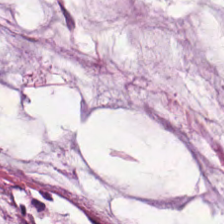H&E. Q: What tissue type is shown here?
A: This is extracellular mucin.
